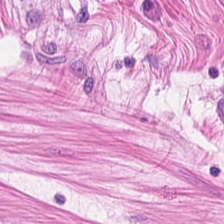Showing smooth-muscle tissue.
